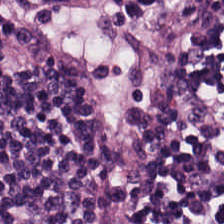Hematoxylin-and-eosin stained section — {"tissue_type": "lymphoid infiltrate"}
